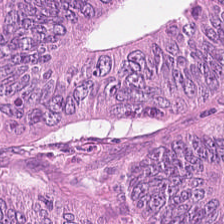20× equivalent magnification · brightfield · hematoxylin and eosin — {"tissue_type": "tumor epithelium"}
